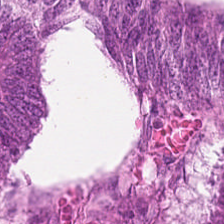0.5 µm per pixel. H&E.
Predominantly tumor epithelium.
